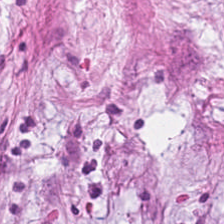Formalin-fixed paraffin-embedded section · H&E stain · 224×224 pixel tile — Desmoplastic stroma.
